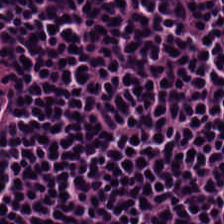Stain: H&E-stained tissue section.
Tissue class: lymphocytes.
